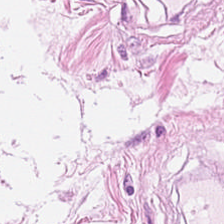H&E-stained tissue section.
Q: Identify the tissue.
A: The field shows adipocytes.
